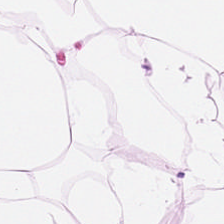Q: What is the predominant tissue type?
A: It is adipose.
